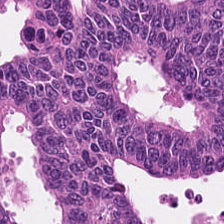The predominant tissue is adenocarcinoma.
